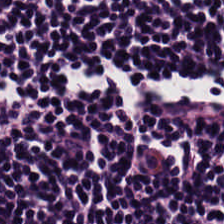Hematoxylin-and-eosin stained section.
Lymphocyte aggregate.
